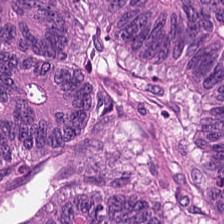H&E — tumor epithelium.
